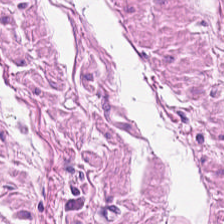H&E stain — Q: What is the predominant tissue type?
A: This is muscularis.
